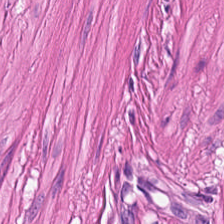The tissue type is smooth muscle.
